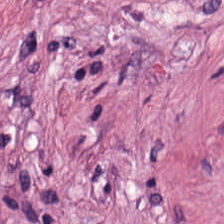H&E-stained tissue section. Impression — tumor stroma.
